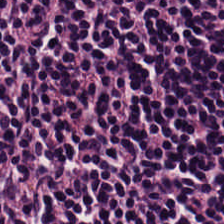224×224 px tile; FFPE tissue section; hematoxylin and eosin — Q: What type of tissue is this?
A: Lymphoid infiltrate.
